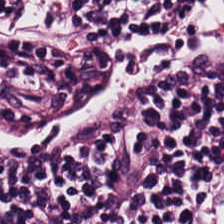224×224 px patch; WSI patch; hematoxylin and eosin — The tissue here is lymphoid infiltrate.
